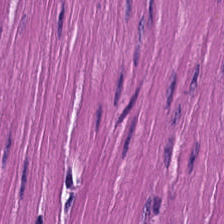This patch shows smooth-muscle tissue.
